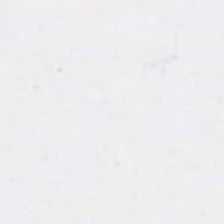This field is background (no tissue).
